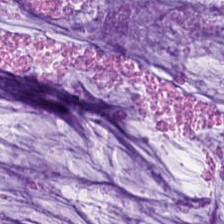Tissue class: extracellular mucin.
